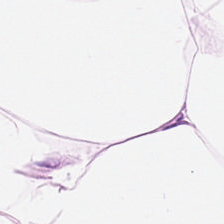0.5 microns per pixel; hematoxylin and eosin. Impression → adipose tissue.
